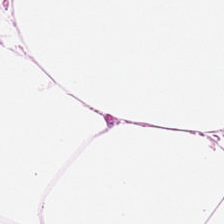Predominant tissue — fat tissue.
